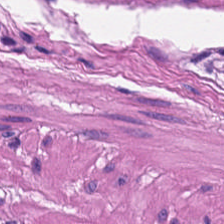Hematoxylin and eosin — The predominant tissue is smooth muscle.
